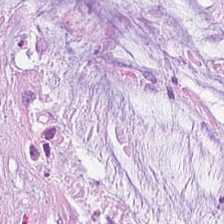Histology — extracellular mucin.
